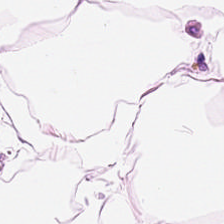FFPE tissue section · H&E — Predominantly adipose.
